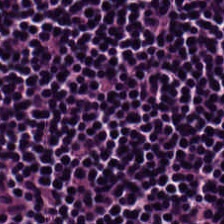Stain: H&E-stained tissue section.
Classification: lymphocytes.
